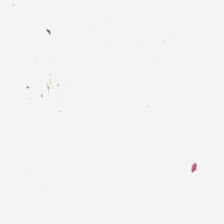This field is background (no tissue).
